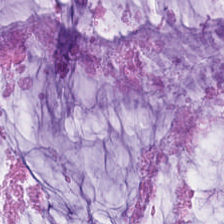Tissue type — mucus.
